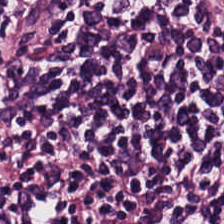H&E · formalin-fixed paraffin-embedded section · brightfield.
Lymphocyte aggregate.
